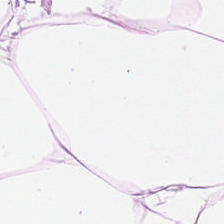Predominantly adipose tissue.
